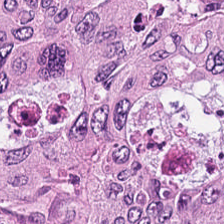Hematoxylin and eosin.
Tissue type — colorectal adenocarcinoma.
